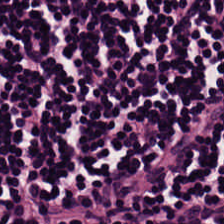Tissue = lymphocytes.
